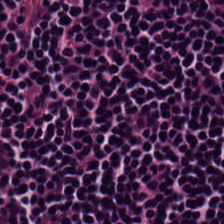H&E; 224×224 px patch; 0.5 µm/px.
The tissue type is lymphocytes.
